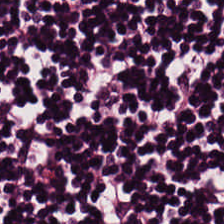224×224 px tile · H&E — Lymphocytic infiltrate.
